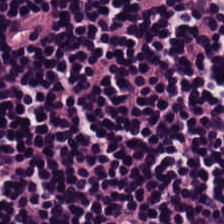Hematoxylin and eosin · 224×224 pixel tile.
Q: What does this patch show?
A: Lymphocyte aggregate.
